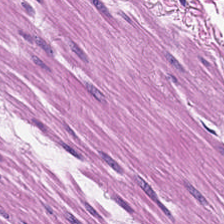H&E stain.
The classification is muscularis.
